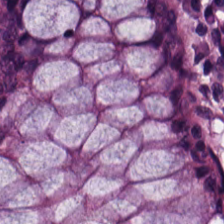Formalin-fixed paraffin-embedded section · WSI patch · hematoxylin-and-eosin stained section.
Showing non-neoplastic colon mucosa.
